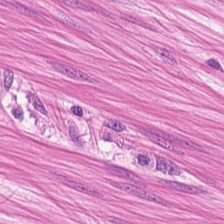Tissue — muscularis.
